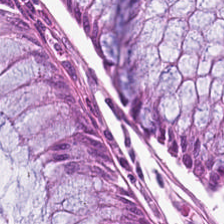Stain: H&E.
Tissue type: benign colonic mucosa.
